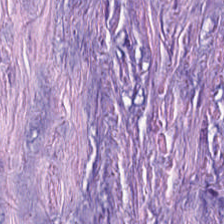Hematoxylin-and-eosin stained section.
This patch shows cancer-associated stroma.
